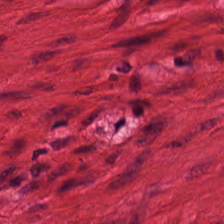H&E patch showing smooth muscle.
